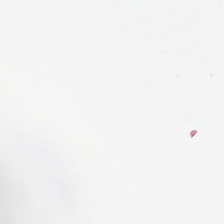0.5 microns per pixel; 224×224 px tile; hematoxylin-and-eosin stained section.
Q: What is shown in this field?
A: It is no tissue.
